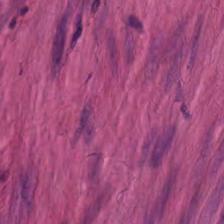Q: What tissue is shown?
A: Muscularis.
